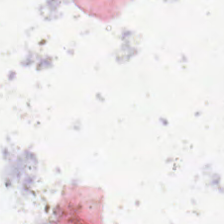FFPE · hematoxylin and eosin — Histology — no tissue.
